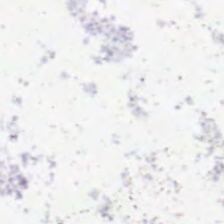FFPE. H&E stain. 0.5 µm per pixel. Field content — no tissue.
